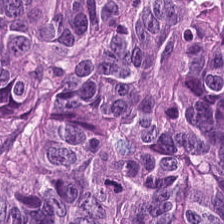Tissue type: colorectal adenocarcinoma epithelium.
